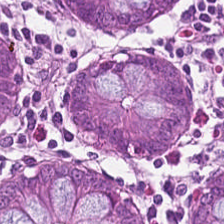224×224 px patch. H&E. Formalin-fixed paraffin-embedded section — The tissue here is benign colonic mucosa.
